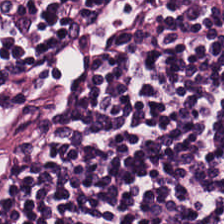Hematoxylin and eosin — Q: Classify this patch.
A: Lymphoid infiltrate.
